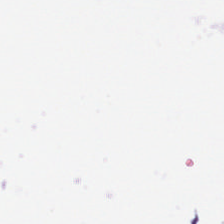Brightfield microscopy · hematoxylin-and-eosin stained section.
Q: What is shown here?
A: This is empty background.
